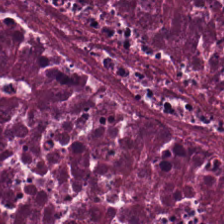Formalin-fixed paraffin-embedded section; H&E-stained tissue section. Predominantly necrotic debris.
